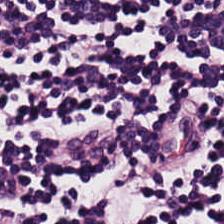H&E-stained tissue section. 224×224 px tile. Predominantly lymphoid infiltrate.
